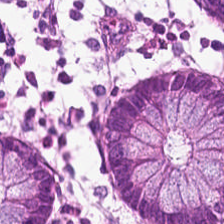Finding — normal colonic mucosa.
